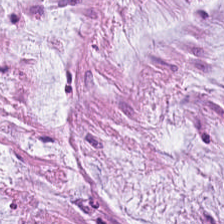0.5 microns per pixel. Hematoxylin-and-eosin stained section.
Showing mucin.
